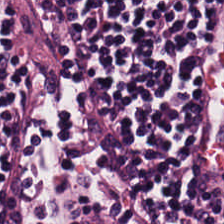Q: What tissue type is shown here?
A: This is lymphoid infiltrate.
